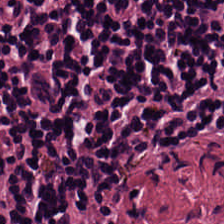H&E stain.
Finding — lymphocytes.
